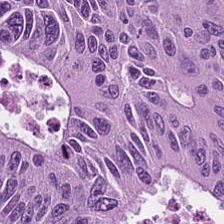Q: Classify this patch.
A: Colorectal adenocarcinoma.
